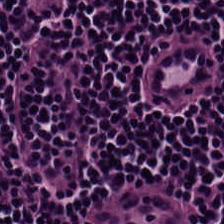Hematoxylin-and-eosin stained section. Q: What does this patch show?
A: Lymphocytic infiltrate.
